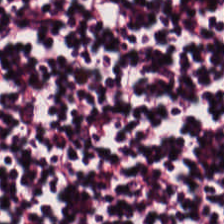Stain: hematoxylin-and-eosin stained section.
Tissue: lymphocytic infiltrate.
